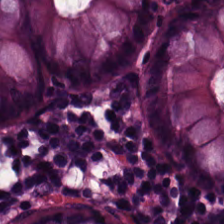Hematoxylin-and-eosin stained section.
The tissue is normal colon mucosa.
